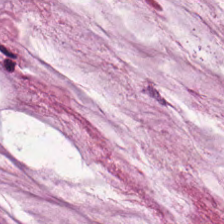H&E.
This patch shows extracellular mucin.
